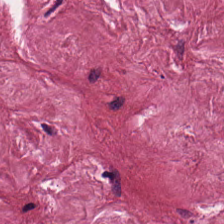H&E patch showing desmoplastic stroma.
